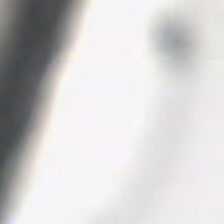Content: background.
